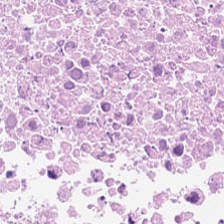224×224 px tile; FFPE; H&E-stained tissue section — Predominant tissue — debris.
